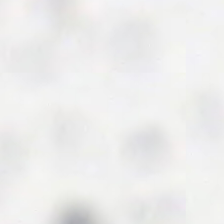Background — no tissue in this field.
